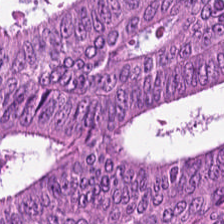Stain: H&E-stained tissue section.
Tissue type: malignant epithelium.
